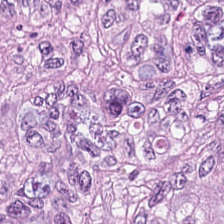H&E. Q: Identify the tissue.
A: The field shows tumor epithelium.
